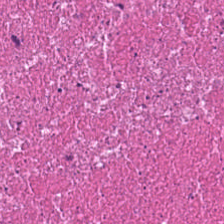H&E.
Histology → necrotic debris.
